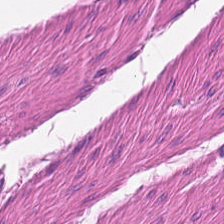H&E stain; FFPE tissue section.
Q: Classify this patch.
A: It is muscularis.
